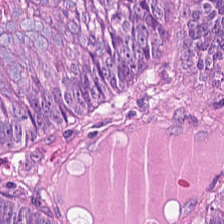Finding → colorectal adenocarcinoma epithelium.
